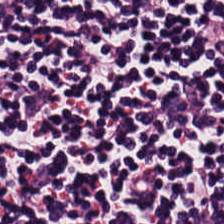Stain: H&E-stained tissue section.
Resolution: 0.5 microns per pixel.
Tissue class: lymphoid infiltrate.
